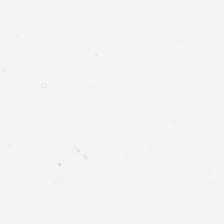224×224 pixel tile · H&E stain. Q: Classify this patch.
A: This is background (no tissue).
